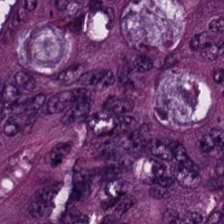Impression — colorectal adenocarcinoma epithelium.
